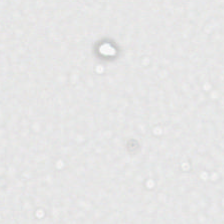H&E.
Histology — no tissue.
